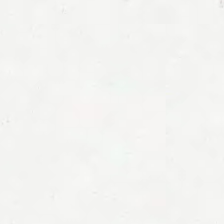224×224 px patch · brightfield microscopy · H&E.
This patch shows empty background.
